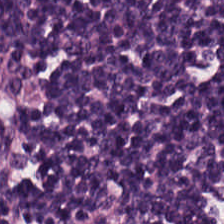Stain: H&E-stained tissue section.
Classification: lymphoid infiltrate.
